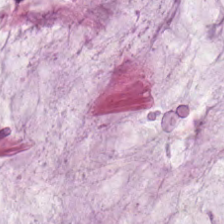Tissue = mucin.
